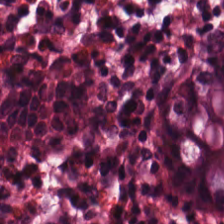Hematoxylin and eosin; 20× equivalent magnification — Tissue type — normal colonic mucosa.
